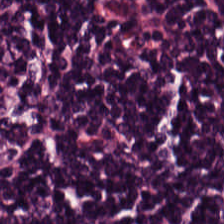Stain: H&E-stained tissue section.
Classification: lymphoid infiltrate.
